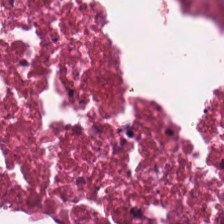H&E stain. FFPE tissue section. WSI patch — Necrotic debris.
